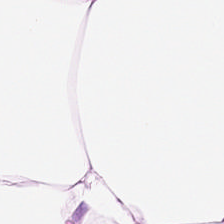Hematoxylin and eosin — This patch shows fat tissue.
